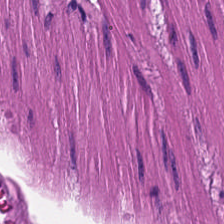Hematoxylin-and-eosin stained section.
This patch shows muscularis.
